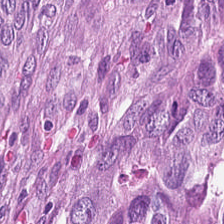Q: What type of tissue is this?
A: Colorectal adenocarcinoma epithelium.
